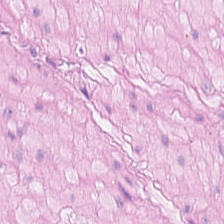Hematoxylin-and-eosin stained section · 20× equivalent magnification. This patch shows smooth-muscle tissue.
